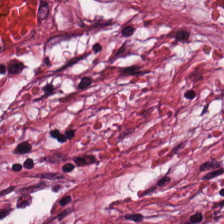H&E — Q: Identify the tissue.
A: This is desmoplastic stroma.
